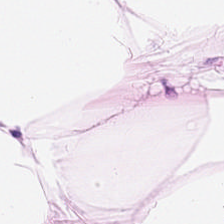H&E; 224×224 px patch; brightfield — Finding → adipocytes.
